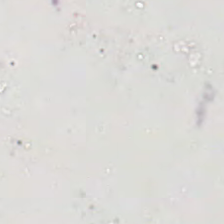Content — no tissue.
